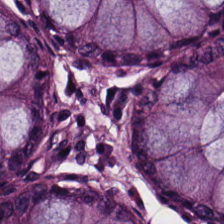Hematoxylin-and-eosin stained section.
Q: Classify this patch.
A: It is benign colonic mucosa.
